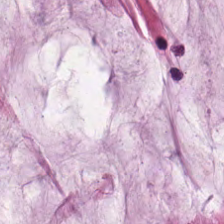Stain: H&E-stained tissue section.
Predominant tissue: mucus.
